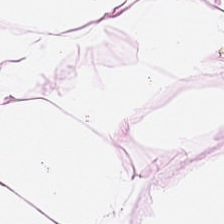The tissue here is adipose.
